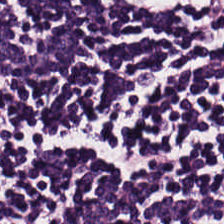Stain: H&E.
Tissue class: lymphocyte aggregate.
